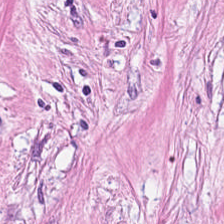Hematoxylin-and-eosin stained section — Predominantly cancer-associated stroma.
